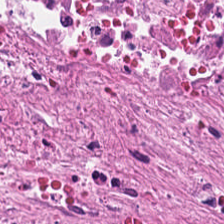Stain: hematoxylin and eosin.
Classification: necrotic debris.
